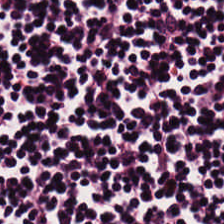0.5 µm/px. Hematoxylin-and-eosin stained section.
Showing lymphocyte aggregate.
